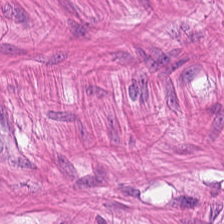Brightfield microscopy; H&E-stained tissue section; 0.5 microns per pixel. Smooth-muscle tissue.
